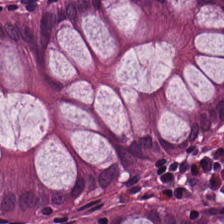Stain: H&E-stained tissue section.
Resolution: 0.5 µm per pixel.
Acquisition: brightfield microscopy.
Classification: benign colonic mucosa.
